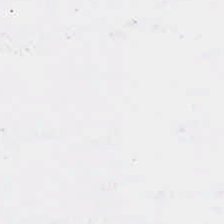Stain: hematoxylin-and-eosin stained section.
Field content: background (no tissue).
